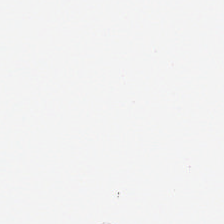Stain: hematoxylin and eosin.
Preparation: formalin-fixed paraffin-embedded section.
Content: empty background.
